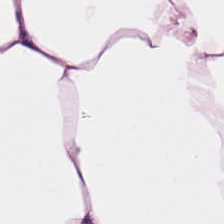Finding — adipose tissue.
